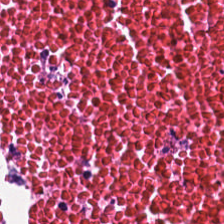Stain: H&E stain.
Tissue: necrotic debris.
